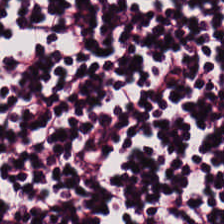Q: Identify the tissue.
A: The field shows lymphocytic infiltrate.
